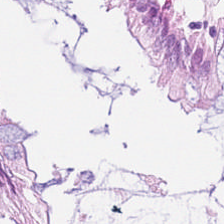Brightfield microscopy. Hematoxylin and eosin. The tissue here is normal colon mucosa.
